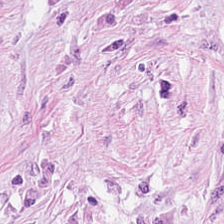0.5 µm per pixel · hematoxylin and eosin. Classification: cancer-associated stroma.
